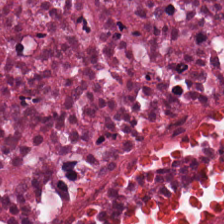Stain: H&E.
Classification: cellular debris.
